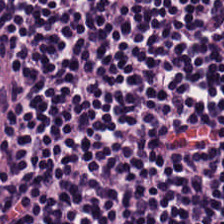Stain: H&E stain.
Tile size: 224×224 px tile.
Tissue type: lymphocytic infiltrate.
